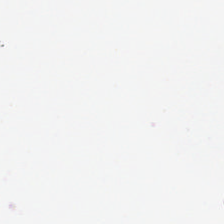H&E-stained tissue section — Background (no tissue).
